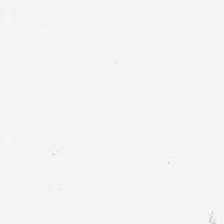H&E-stained tissue section; 0.5 µm per pixel; formalin-fixed paraffin-embedded section.
Q: What is shown here?
A: No tissue.
